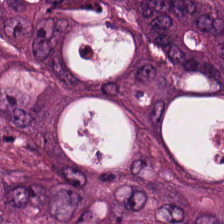FFPE · hematoxylin and eosin.
Tissue type — malignant epithelium.
